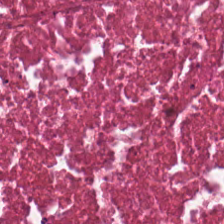H&E-stained tissue section. {"tissue_type": "debris"}
